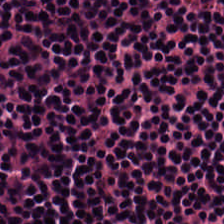Hematoxylin and eosin · WSI patch. The predominant tissue is lymphocytes.
